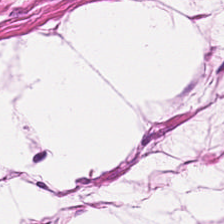Formalin-fixed paraffin-embedded section. 0.5 µm per pixel. Hematoxylin-and-eosin stained section — The classification is smooth-muscle tissue.
